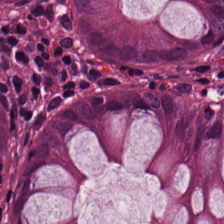H&E stain — The tissue here is benign colonic mucosa.
